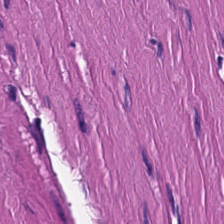Hematoxylin-and-eosin stained section. Whole-slide-image patch. 224×224 pixel tile. {"tissue_type": "smooth muscle"}
